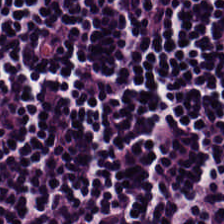H&E-stained tissue section; WSI patch.
Tissue class: lymphocyte aggregate.
